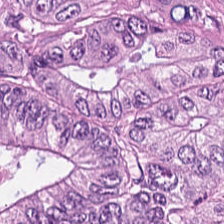Hematoxylin-and-eosin stained section.
Q: What is shown here?
A: Colorectal adenocarcinoma.
